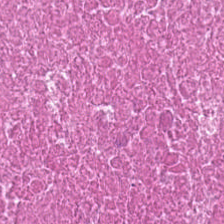Stain: hematoxylin and eosin.
Tile size: 224×224 px patch.
Predominant tissue: debris.
